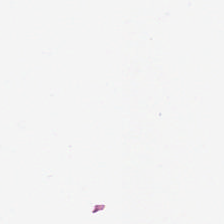224×224 pixel tile. H&E stain. FFPE.
This field is background (no tissue).
